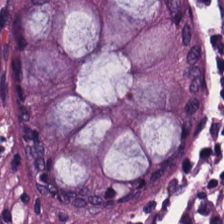H&E stain — This field is normal colon mucosa.
